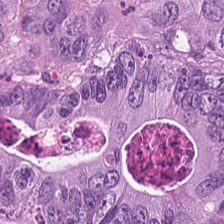Stain: H&E-stained tissue section.
Tissue: adenocarcinoma.
